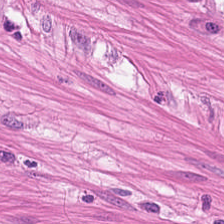Brightfield microscopy · H&E-stained tissue section · 0.5 µm per pixel. Predominant tissue = muscularis.
